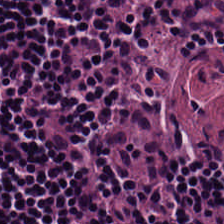Stain: hematoxylin-and-eosin stained section.
Tissue class: lymphoid infiltrate.
